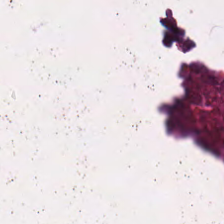224×224 pixel tile. H&E-stained tissue section. FFPE tissue section.
Tissue class — cellular debris.
